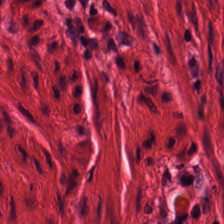H&E. Q: What is shown in this field?
A: This is muscularis.
